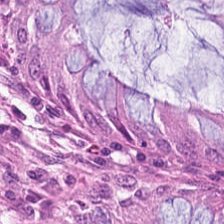H&E-stained tissue section.
Tissue type — benign colonic mucosa.
